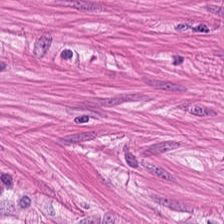H&E stain — The tissue class is smooth-muscle tissue.
